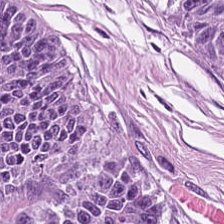224×224 px patch. H&E-stained tissue section. 0.5 µm/px. Q: What does this patch show?
A: The field shows colorectal adenocarcinoma.
